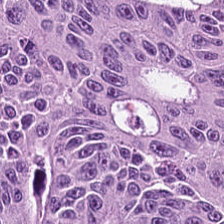Hematoxylin and eosin. Brightfield.
The tissue type is tumor epithelium.
